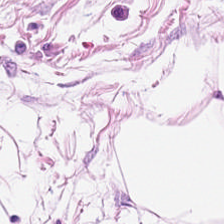224×224 pixel tile · whole-slide-image patch · H&E-stained tissue section.
Histology → adipose tissue.
